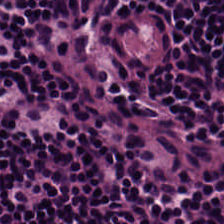Formalin-fixed paraffin-embedded section. 224×224 pixel tile. Hematoxylin and eosin — Lymphocyte aggregate.
